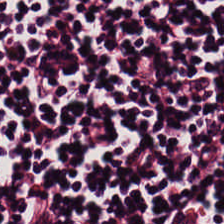Q: What is shown here?
A: It is lymphocytic infiltrate.
